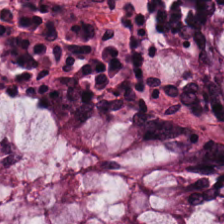Predominantly benign colonic mucosa.
